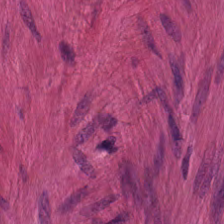H&E stain — {"tissue_type": "smooth muscle"}
